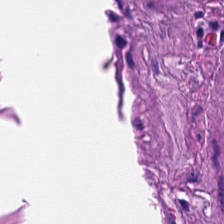0.5 µm/px. H&E stain. FFPE. Tissue class — smooth-muscle tissue.
